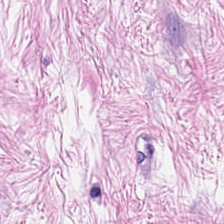Hematoxylin and eosin. This patch shows tumor-associated stroma.
